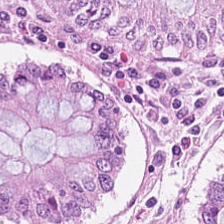Hematoxylin-and-eosin stained section. 224×224 px tile. FFPE. Q: Identify the tissue.
A: It is benign colonic mucosa.
